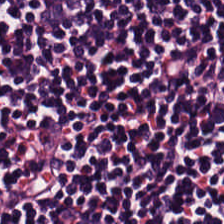Stain: hematoxylin-and-eosin stained section.
Tissue class: lymphocytes.
